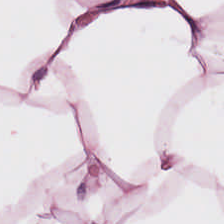Stain: H&E stain.
Tissue: fat tissue.
